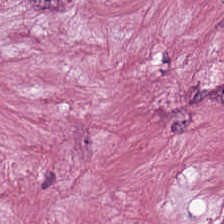{"tissue_type": "tumor stroma"}
